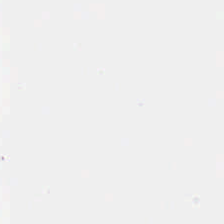Stain: H&E.
Content: empty background.
